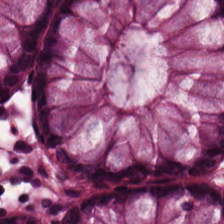Stain: H&E.
Tissue: normal colon mucosa.
